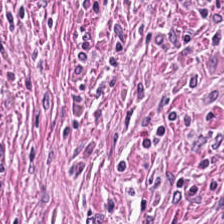Hematoxylin and eosin.
Showing cancer-associated stroma.
